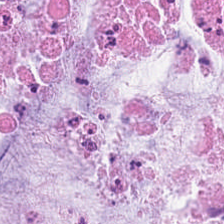20× equivalent magnification · hematoxylin and eosin — The predominant tissue is extracellular mucin.
